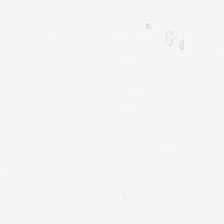Hematoxylin-and-eosin stained section. Brightfield microscopy. FFPE — Q: What does this patch show?
A: It is empty background.
